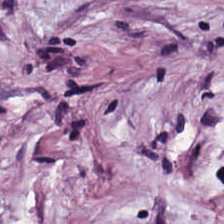Hematoxylin-and-eosin section: cancer-associated stroma.
